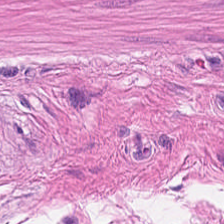Q: Classify this patch.
A: This is smooth muscle.
